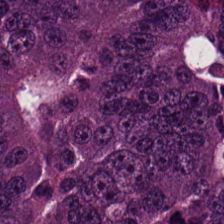H&E-stained tissue section. Classification — adenocarcinoma.
